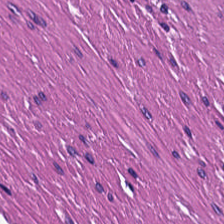Hematoxylin-and-eosin stained section · brightfield microscopy. Finding — muscularis.
